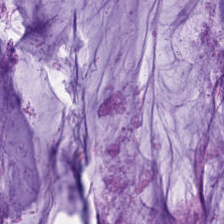H&E patch showing mucus.
